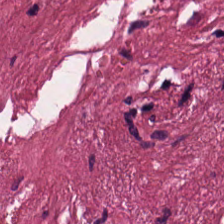Formalin-fixed paraffin-embedded section. WSI patch. Hematoxylin-and-eosin stained section — Predominantly cancer-associated stroma.
